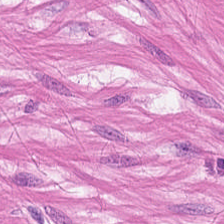H&E stain — Smooth-muscle tissue.
